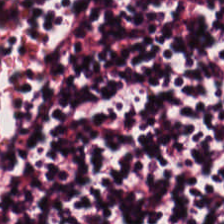Classification — lymphocytic infiltrate.
